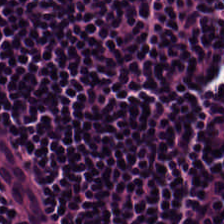224×224 px patch. H&E.
Classification — lymphocytic infiltrate.
